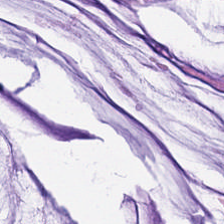20× equivalent magnification · H&E stain · 224×224 px tile. Q: What does this patch show?
A: The field shows extracellular mucin.
